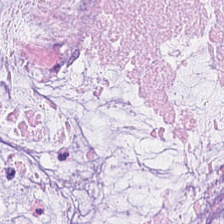0.5 µm per pixel · hematoxylin-and-eosin stained section. Predominant tissue — mucus.
